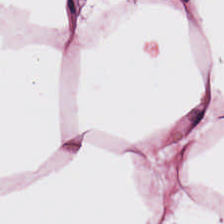H&E-stained tissue section · WSI patch — This patch shows adipose tissue.
